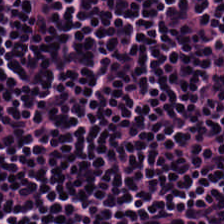H&E stain — Q: What tissue is shown?
A: It is lymphoid infiltrate.
